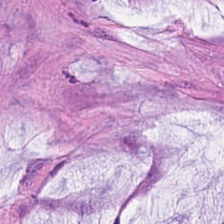Predominant tissue: mucus.
